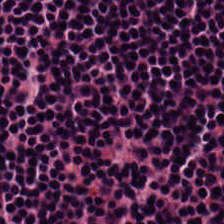Stain: H&E-stained tissue section.
Resolution: 20× equivalent magnification.
Predominant tissue: lymphocyte aggregate.
